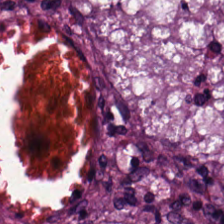H&E stain — The predominant tissue is colorectal adenocarcinoma.
